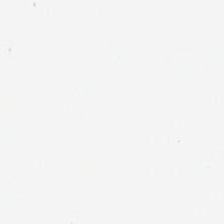224×224 px patch. H&E stain.
Q: Classify this patch.
A: It is background (no tissue).
